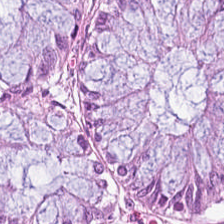Histology — benign colonic mucosa.
